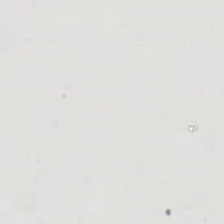{"content": "empty background"}
